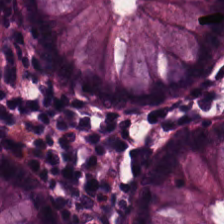Stain: H&E-stained tissue section.
Classification: normal colonic mucosa.
